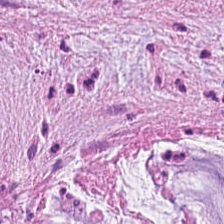H&E. This patch shows extracellular mucin.
